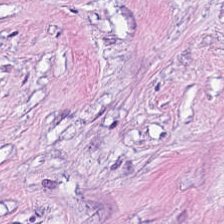Hematoxylin and eosin. This patch shows desmoplastic stroma.
